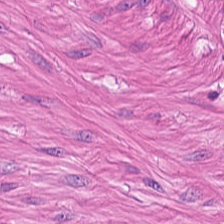Hematoxylin and eosin. Showing smooth muscle.
